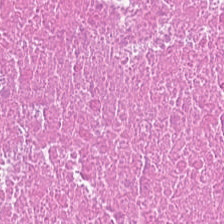Hematoxylin and eosin — Necrotic debris.
